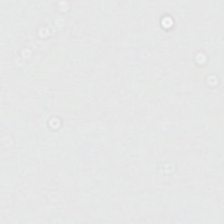Histology → empty background.
